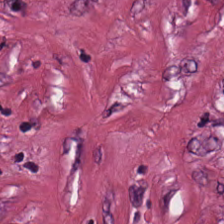Tissue class — tumor stroma.
